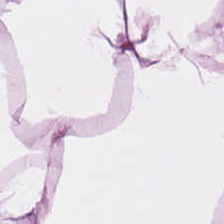H&E; 0.5 microns per pixel; formalin-fixed paraffin-embedded section.
This patch shows fat tissue.
